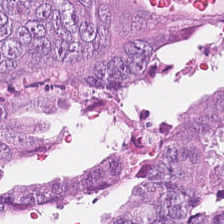Stain: hematoxylin-and-eosin stained section.
Predominant tissue: tumor epithelium.
